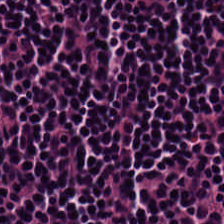0.5 microns per pixel. H&E. This patch shows lymphocytic infiltrate.
